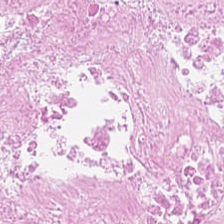Stain: H&E.
Preparation: FFPE.
Acquisition: brightfield.
Tissue class: debris.
